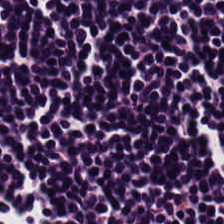Hematoxylin-and-eosin stained section.
Classification — lymphocytic infiltrate.
